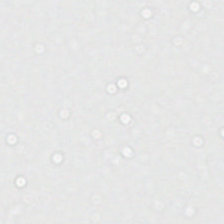Hematoxylin-and-eosin stained section · 0.5 µm/px. No tissue present; background only.
